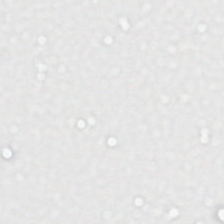0.5 µm/px; H&E stain. Finding → no tissue.
